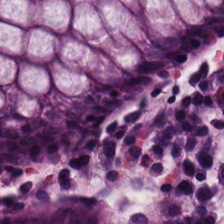H&E-stained tissue section.
This field is normal colonic mucosa.
